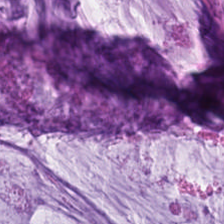Formalin-fixed paraffin-embedded section; hematoxylin and eosin — Impression — mucin.
